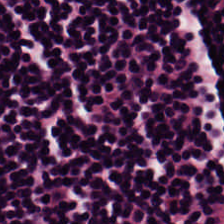H&E — This patch shows lymphocytes.
